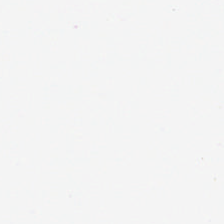H&E; 0.5 µm/px; FFPE. Classification — background.
